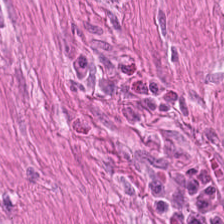Formalin-fixed paraffin-embedded section · hematoxylin and eosin. Muscularis.
